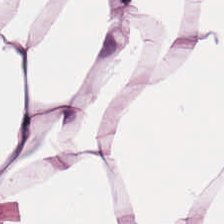H&E stain. 20× equivalent magnification — Showing adipose tissue.
